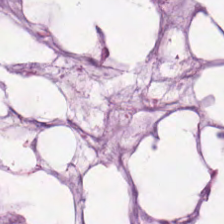This field is mucin.
